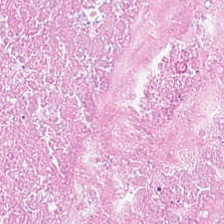Whole-slide-image patch · formalin-fixed paraffin-embedded section · H&E — Tissue = cellular debris.
